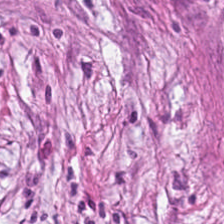Stain: H&E.
Resolution: 0.5 µm/px.
Classification: cancer-associated stroma.
